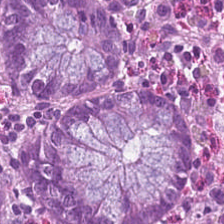Stain: hematoxylin and eosin.
Tissue type: normal colonic mucosa.
